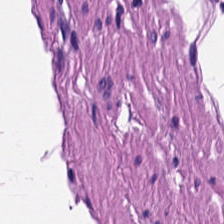H&E. 224×224 px tile — This patch shows smooth-muscle tissue.
